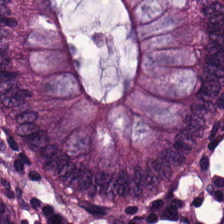H&E · 0.5 µm per pixel · 224×224 px tile. Tissue — non-neoplastic colon mucosa.
